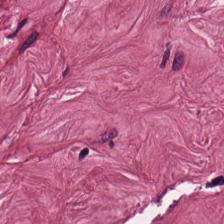H&E. 224×224 px tile. The tissue is tumor stroma.
